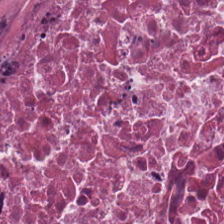Hematoxylin and eosin — Predominantly necrotic debris.
